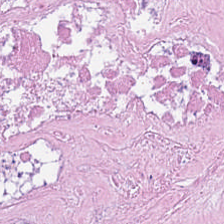224×224 px patch · hematoxylin-and-eosin stained section · 0.5 microns per pixel.
Q: What is shown here?
A: Debris.
